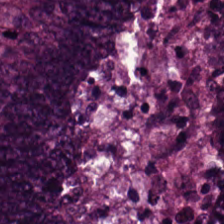Stain: H&E.
Predominant tissue: colorectal adenocarcinoma.
